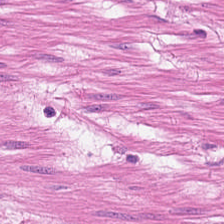FFPE tissue section; H&E-stained tissue section — Finding → muscularis.
